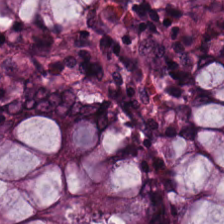Tissue class: benign colonic mucosa.
